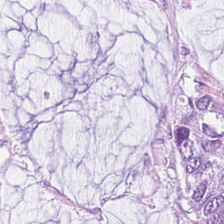H&E-stained tissue section showing mucin.
